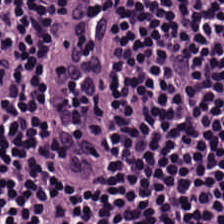Hematoxylin-and-eosin stained section · FFPE. The classification is lymphocytes.
